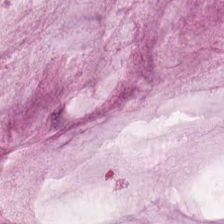Brightfield microscopy. H&E-stained tissue section.
Predominantly mucin.
